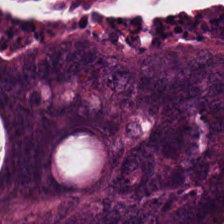Hematoxylin-and-eosin stained section · 0.5 µm/px. Classification: adenocarcinoma.
